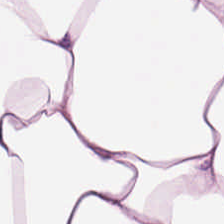H&E stain. 224×224 px tile.
Predominant tissue = adipose.
